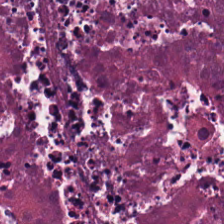H&E stain. Cellular debris.
